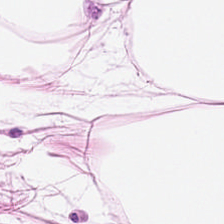Stain: hematoxylin and eosin.
Classification: adipocytes.
